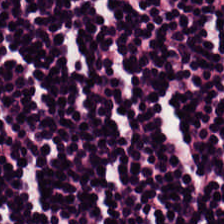0.5 µm/px. Hematoxylin and eosin.
Showing lymphocyte aggregate.
